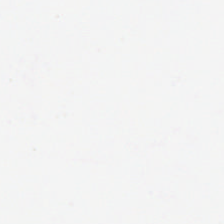H&E-stained tissue section. 0.5 µm per pixel.
This field is background (no tissue).
